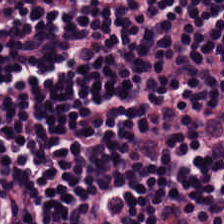H&E stain.
Tissue: lymphocytic infiltrate.
